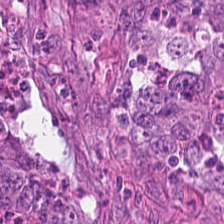H&E-stained tissue section. Classification = colorectal adenocarcinoma.
